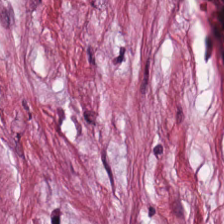The tissue type is desmoplastic stroma.
